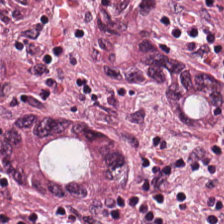Tissue class: tumor epithelium.
